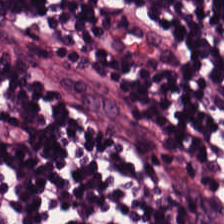224×224 px patch; hematoxylin and eosin.
This field is lymphocyte aggregate.
